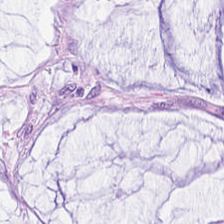H&E. Showing mucin.
